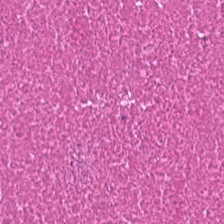0.5 microns per pixel; H&E stain; formalin-fixed paraffin-embedded section.
The predominant tissue is necrotic debris.
